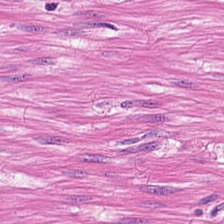H&E-stained tissue section — The predominant tissue is smooth muscle.
